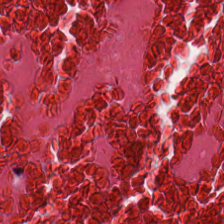Brightfield microscopy; hematoxylin and eosin.
This patch shows debris.
